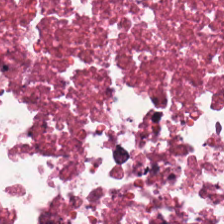Hematoxylin and eosin. This patch shows debris.
